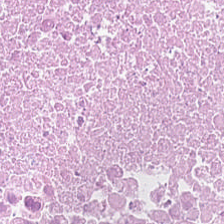Tissue type = debris.
